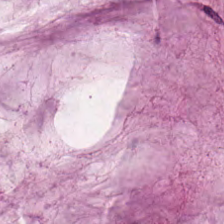Q: Identify the tissue.
A: This is mucin.
